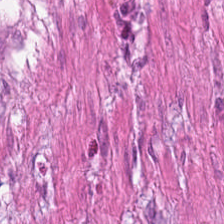H&E-stained tissue section — This patch shows smooth-muscle tissue.
